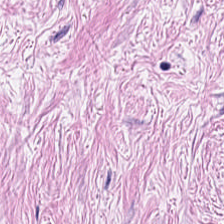H&E stain.
{"tissue_type": "cancer-associated stroma"}
